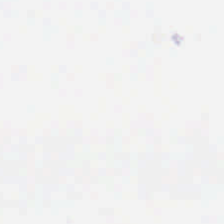20× equivalent magnification; 224×224 pixel tile; hematoxylin-and-eosin stained section. The field content is empty background.
